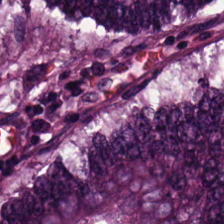224×224 px patch; H&E-stained tissue section.
Histology — colorectal adenocarcinoma.
